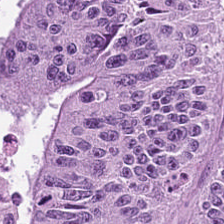Adenocarcinoma.
